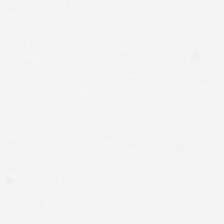0.5 µm per pixel; H&E stain — Empty field — no tissue.
